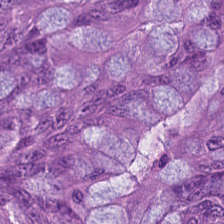H&E stain.
Q: Classify this patch.
A: It is malignant epithelium.
